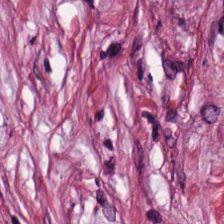H&E-stained tissue section · 0.5 microns per pixel.
Classification — desmoplastic stroma.
